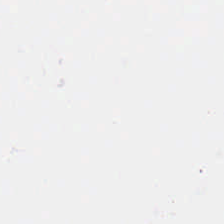Hematoxylin and eosin.
Content — background.
